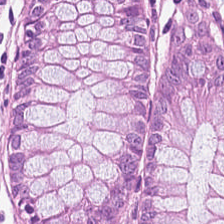Hematoxylin-and-eosin stained section; WSI patch. This patch shows non-neoplastic colon mucosa.
